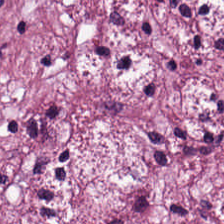Hematoxylin and eosin.
The tissue is tumor stroma.
